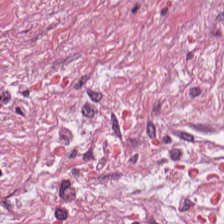H&E-stained tissue section; brightfield microscopy; 224×224 px tile — Predominantly tumor stroma.
